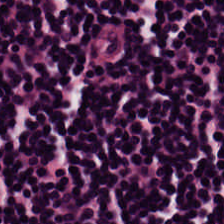H&E — Showing lymphocytes.
